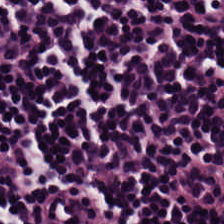Stain: H&E.
Preparation: FFPE.
Tissue type: lymphocytic infiltrate.
